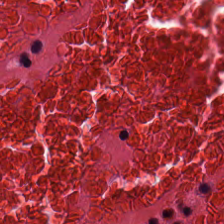H&E stain.
Predominant tissue — debris.
